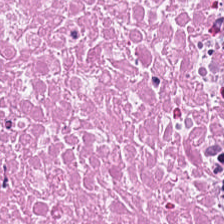Hematoxylin and eosin — Q: What is shown in this field?
A: The field shows debris.
